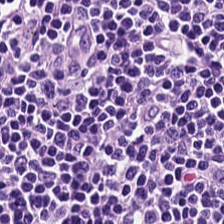H&E patch showing lymphocytes.
